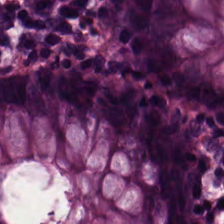Formalin-fixed paraffin-embedded section · hematoxylin and eosin. Q: What type of tissue is this?
A: Non-neoplastic colon mucosa.
